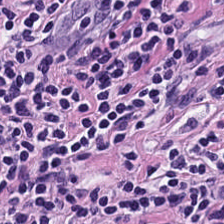H&E-stained tissue section. The classification is lymphoid infiltrate.
